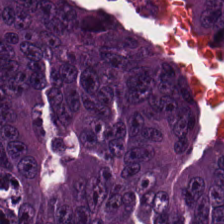Stain: H&E stain.
Tissue type: colorectal adenocarcinoma epithelium.
